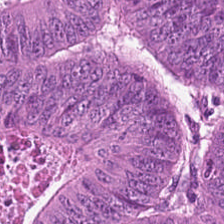Hematoxylin and eosin · formalin-fixed paraffin-embedded section · WSI patch. The tissue class is adenocarcinoma.
